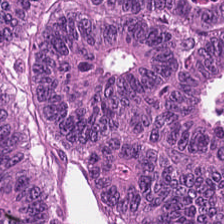H&E stain.
The tissue is tumor epithelium.
